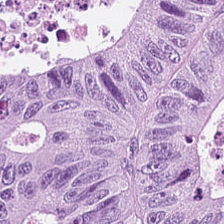Stain: H&E.
Classification: adenocarcinoma.
